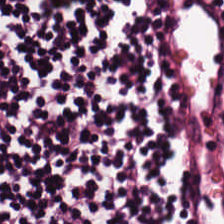0.5 µm/px. WSI patch. H&E. This field is lymphocytic infiltrate.
